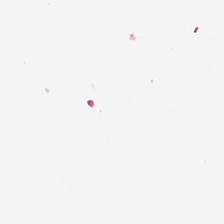Stain: hematoxylin-and-eosin stained section.
Field content: background (no tissue).
